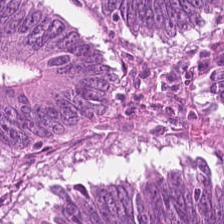224×224 px patch · H&E. Predominant tissue: tumor epithelium.
